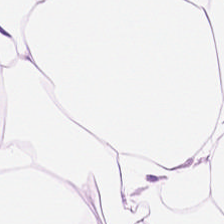Hematoxylin and eosin; 0.5 microns per pixel; brightfield microscopy. Q: Classify this patch.
A: The field shows adipose tissue.
